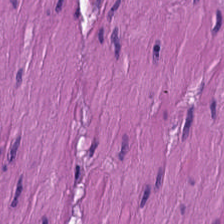H&E stain. 0.5 µm per pixel.
Smooth muscle.
